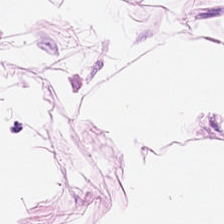Stain: H&E.
Acquisition: WSI patch.
Resolution: 0.5 µm per pixel.
Tissue type: adipose tissue.
